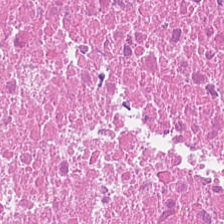Showing cellular debris.
